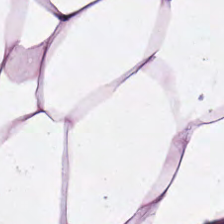Hematoxylin-and-eosin stained section. Showing adipocytes.
